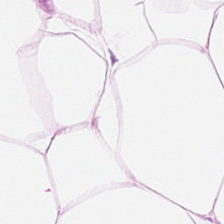Hematoxylin-and-eosin stained section. 224×224 px tile. Whole-slide-image patch — Showing fat tissue.
